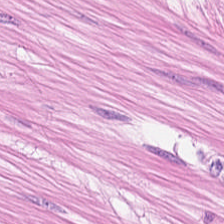Formalin-fixed paraffin-embedded section. WSI patch. Hematoxylin and eosin.
Q: What is shown in this field?
A: Smooth-muscle tissue.
